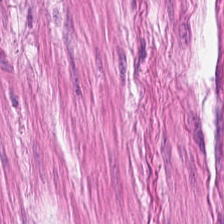H&E stain.
Histology → smooth muscle.
